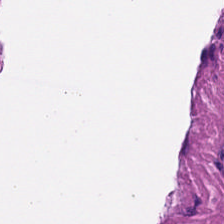Tissue type: muscularis.
